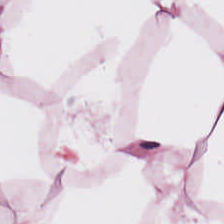Hematoxylin-and-eosin stained section — The predominant tissue is adipocytes.
